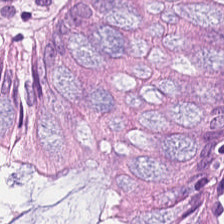224×224 pixel tile. H&E-stained tissue section. Whole-slide-image patch — Predominant tissue — normal colonic mucosa.
